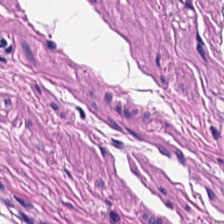224×224 pixel tile · H&E stain — Classification — smooth-muscle tissue.
